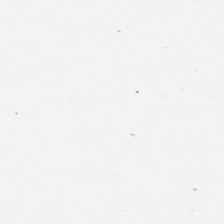H&E. This field is background (no tissue).
